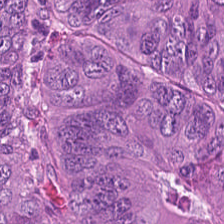Impression — colorectal adenocarcinoma.
